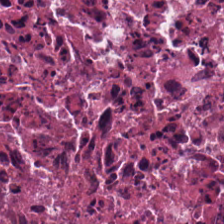Q: What tissue is shown?
A: Cellular debris.
